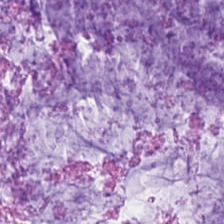Hematoxylin-and-eosin stained section. Histology — mucus.
